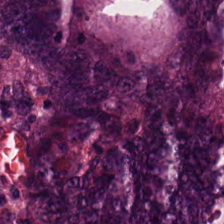H&E stain — Predominant tissue — colorectal adenocarcinoma epithelium.
